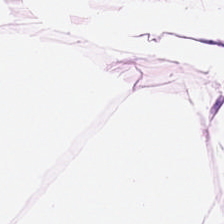Hematoxylin and eosin; 224×224 pixel tile — {"tissue_type": "adipocytes"}
